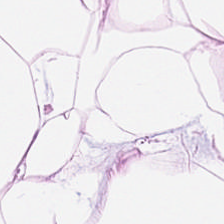Formalin-fixed paraffin-embedded section. H&E-stained tissue section.
Predominantly fat tissue.
